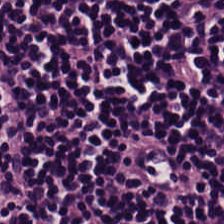FFPE. H&E stain. Whole-slide-image patch — Predominantly lymphocytes.
